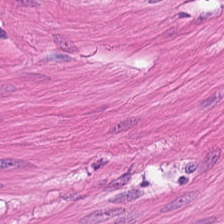Stain: hematoxylin and eosin.
Tissue type: smooth-muscle tissue.
